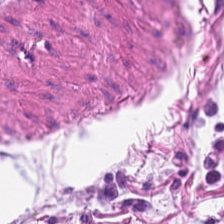224×224 pixel tile · hematoxylin and eosin. Q: What is the predominant tissue type?
A: It is smooth-muscle tissue.
